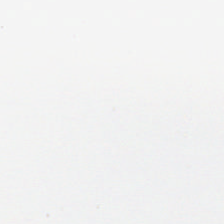Hematoxylin and eosin — This patch shows background (no tissue).
